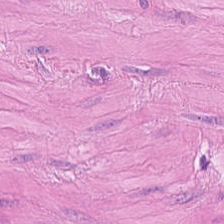H&E stain; FFPE; 224×224 px tile.
Tissue class: muscularis.
